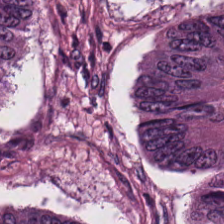Hematoxylin and eosin — Predominant tissue — tumor epithelium.
